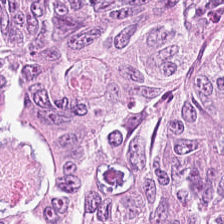Predominant tissue: colorectal adenocarcinoma epithelium.
